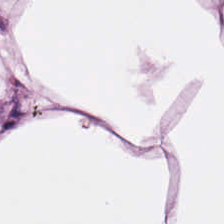Q: What is shown here?
A: It is fat tissue.
